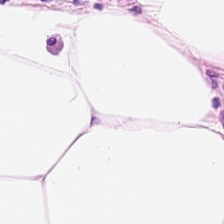224×224 pixel tile. H&E. Brightfield. Q: What tissue type is shown here?
A: It is fat tissue.
